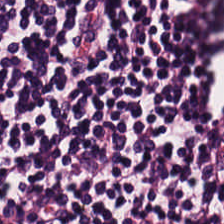Stain: H&E.
Resolution: 20× equivalent magnification.
Predominant tissue: lymphoid infiltrate.
